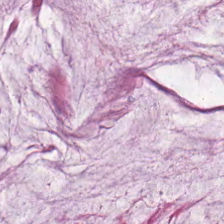H&E stain · 20× equivalent magnification. This patch shows extracellular mucin.
